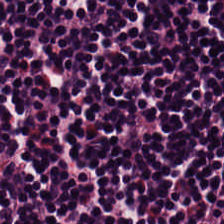Q: What tissue is shown?
A: Lymphoid infiltrate.
